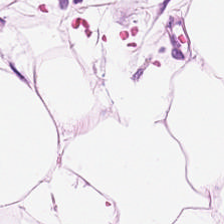Tissue type = fat tissue.
